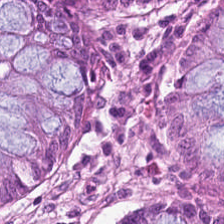H&E; formalin-fixed paraffin-embedded section. {"tissue_type": "non-neoplastic colon mucosa"}
